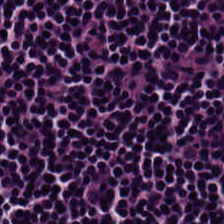FFPE tissue section · 224×224 px patch · hematoxylin and eosin — This patch shows lymphocytes.
